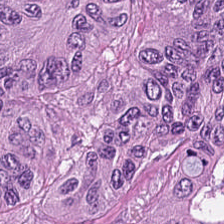FFPE · H&E — The tissue here is colorectal adenocarcinoma epithelium.
